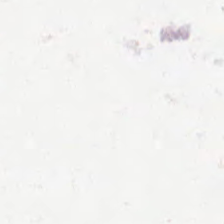H&E. Formalin-fixed paraffin-embedded section.
The classification is empty background.
